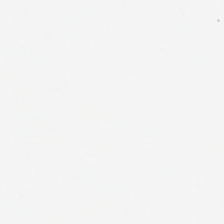H&E-stained tissue section · 224×224 px tile — Q: What does this patch show?
A: This is background (no tissue).
